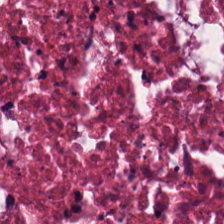Stain: H&E.
Acquisition: brightfield microscopy.
Tissue class: necrotic debris.
